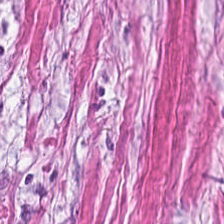Hematoxylin and eosin. Cancer-associated stroma.
